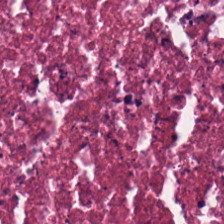This field is debris.
